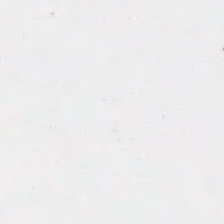Hematoxylin-and-eosin stained section — Finding → background.
